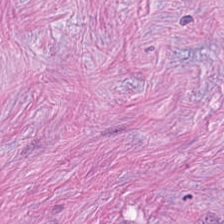H&E.
The predominant tissue is desmoplastic stroma.
